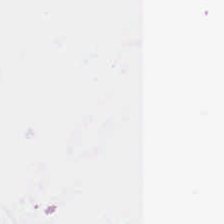Hematoxylin and eosin; formalin-fixed paraffin-embedded section. Field content: no tissue.
